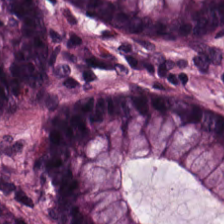This patch shows benign colonic mucosa.
